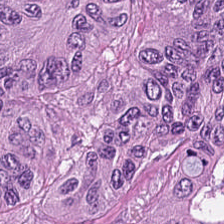Hematoxylin-and-eosin section: malignant epithelium.
